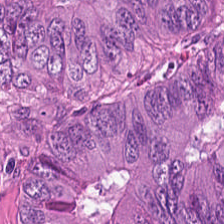Stain: H&E-stained tissue section.
Classification: adenocarcinoma.
